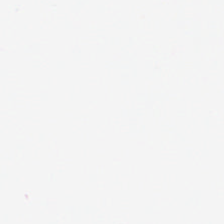H&E · formalin-fixed paraffin-embedded section. Field content: no tissue.
